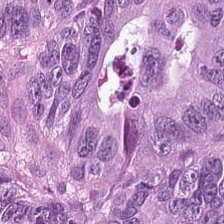0.5 µm/px. H&E-stained tissue section. 224×224 px tile. The tissue is malignant epithelium.
